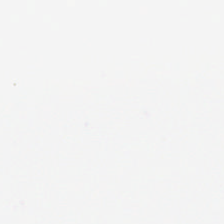H&E stain — Classification: background.
